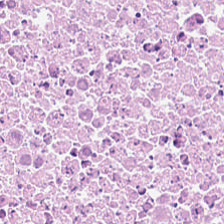Tissue = necrotic debris.
